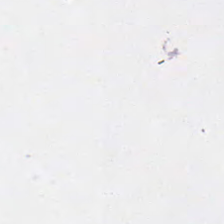Stain: H&E stain.
Acquisition: WSI patch.
Resolution: 0.5 µm/px.
Field content: background.
